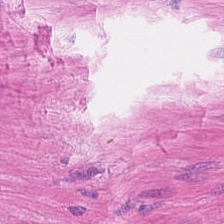Tissue class: smooth-muscle tissue.
